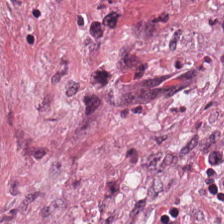The tissue class is cancer-associated stroma.
